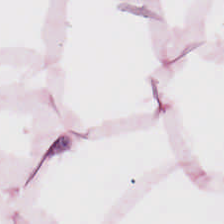H&E stain — This field is adipose tissue.
